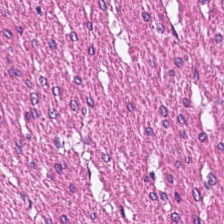H&E-stained tissue section — Finding → smooth muscle.
